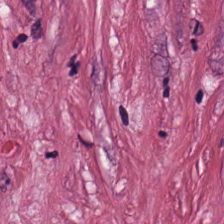Hematoxylin-and-eosin stained section.
Q: Classify this patch.
A: This is tumor-associated stroma.
